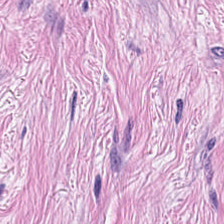Predominant tissue = tumor-associated stroma.
